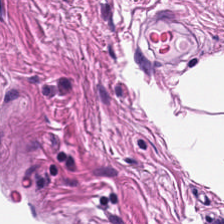Hematoxylin and eosin. 224×224 px tile. FFPE — Q: Classify this patch.
A: It is muscularis.
